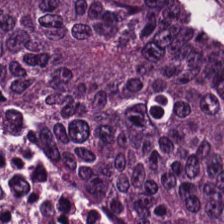Hematoxylin and eosin. 0.5 µm per pixel. This field is colorectal adenocarcinoma epithelium.
